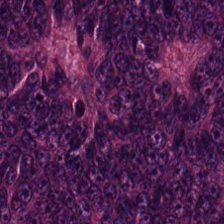Stain: hematoxylin and eosin.
Predominant tissue: tumor epithelium.
